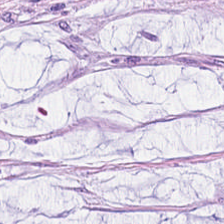Stain: H&E.
Tissue class: mucin.
